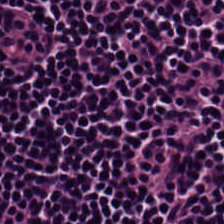H&E. The predominant tissue is lymphocytic infiltrate.
